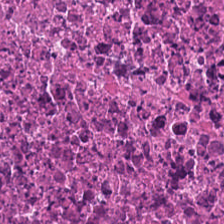Stain: hematoxylin and eosin.
Tissue: cellular debris.
